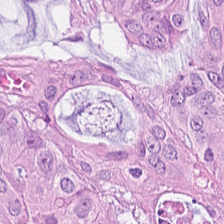H&E; WSI patch — Predominantly colorectal adenocarcinoma.
